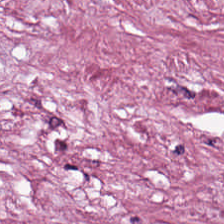Q: What does this patch show?
A: This is tumor stroma.
